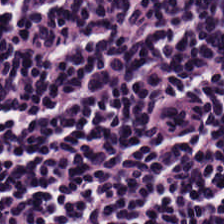H&E-stained tissue section. Brightfield. 224×224 px tile.
{"tissue_type": "lymphocytic infiltrate"}
